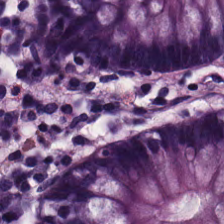Hematoxylin and eosin. This field is non-neoplastic colon mucosa.
